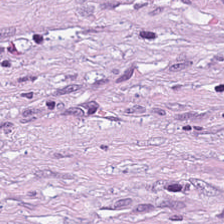Hematoxylin and eosin. Q: What is shown here?
A: This is desmoplastic stroma.
